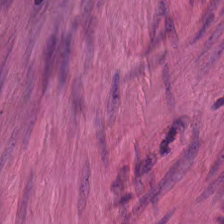H&E-stained tissue section. 0.5 microns per pixel. Brightfield — The predominant tissue is smooth muscle.
